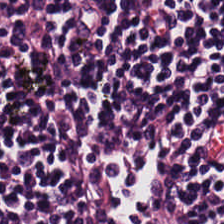Hematoxylin-and-eosin stained section.
Q: Classify this patch.
A: The field shows lymphocytic infiltrate.
